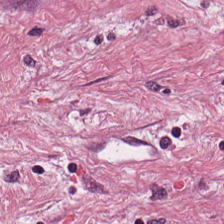Hematoxylin and eosin — The tissue here is tumor-associated stroma.
